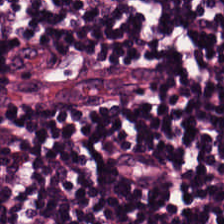Stain: hematoxylin and eosin.
Tissue: lymphoid infiltrate.
